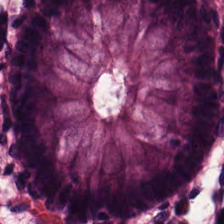H&E · FFPE. Tissue: normal colon mucosa.
